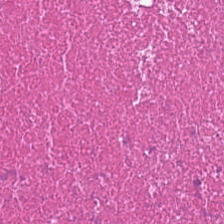Predominantly necrotic debris.
